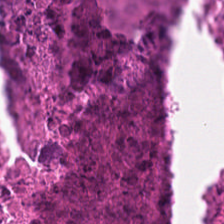Hematoxylin and eosin. Finding → cellular debris.
